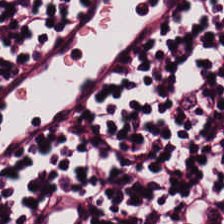0.5 microns per pixel; hematoxylin-and-eosin stained section — Predominant tissue: lymphocytes.
